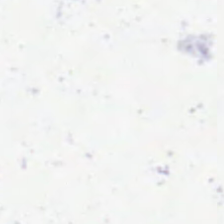No tissue present; background only.
